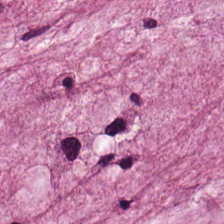0.5 microns per pixel · hematoxylin and eosin · formalin-fixed paraffin-embedded section.
Q: What is the predominant tissue type?
A: This is extracellular mucin.
